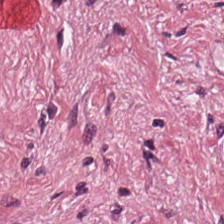Classification: desmoplastic stroma.
